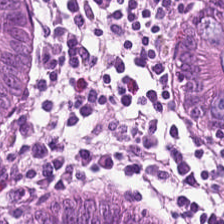Benign colonic mucosa.
